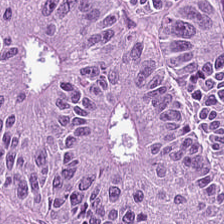H&E-stained tissue section.
The predominant tissue is colorectal adenocarcinoma epithelium.
